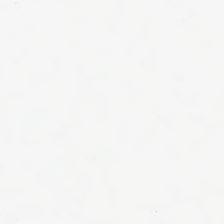Hematoxylin-and-eosin stained section. This patch shows no tissue.
